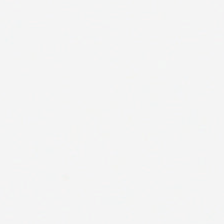H&E.
Empty field — empty background.
